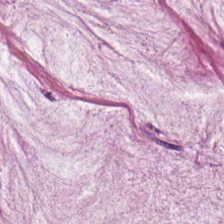H&E.
Predominant tissue — mucus.
